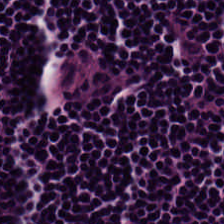224×224 px patch · H&E. The tissue class is lymphocytic infiltrate.
